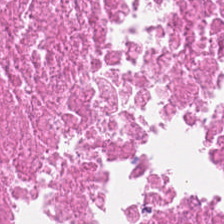H&E-stained tissue section.
Q: Identify the tissue.
A: This is cellular debris.
